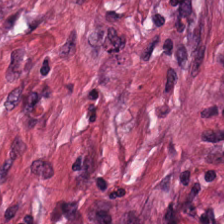Hematoxylin-and-eosin stained section. Tissue type — tumor stroma.
